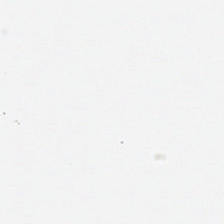Brightfield. H&E. Empty field — no tissue.
